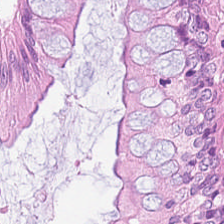H&E-stained tissue section — Tissue class: benign colonic mucosa.
